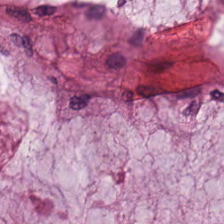20× equivalent magnification; H&E stain.
Predominant tissue: mucus.
